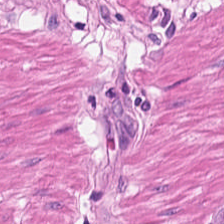H&E — muscularis.
